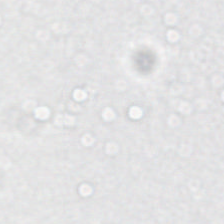Hematoxylin and eosin. Brightfield. 20× equivalent magnification.
Impression — empty background.
